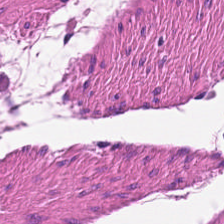H&E-stained tissue section — The predominant tissue is smooth muscle.
